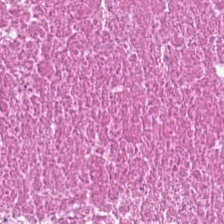Tissue class = necrotic debris.
